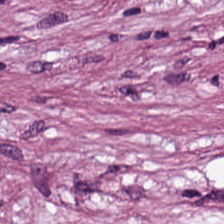H&E-stained tissue section.
Tissue = cancer-associated stroma.
